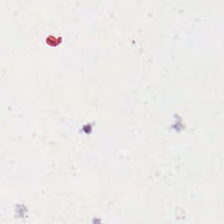224×224 px patch · H&E.
Field content: background.
